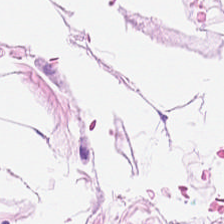Formalin-fixed paraffin-embedded section; hematoxylin-and-eosin stained section; 0.5 µm per pixel — Q: What does this patch show?
A: The field shows adipose.
